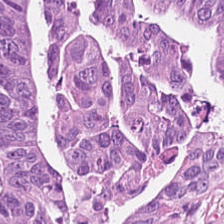Hematoxylin-and-eosin stained section — Predominantly tumor epithelium.
